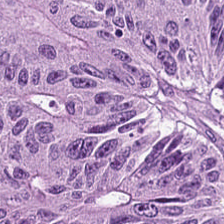Q: What is shown here?
A: Adenocarcinoma.
